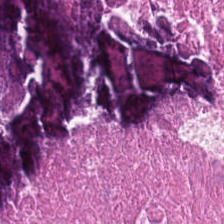224×224 px patch; hematoxylin and eosin; 20× equivalent magnification.
Q: Identify the tissue.
A: The field shows cellular debris.
